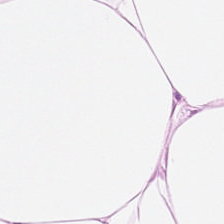H&E · FFPE.
Q: What does this patch show?
A: It is adipose tissue.
